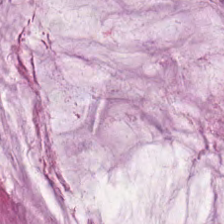Tissue type: mucus.
